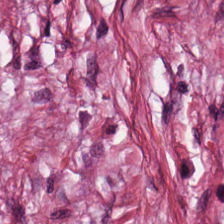H&E-stained tissue section. Q: What is the predominant tissue type?
A: The field shows tumor stroma.
